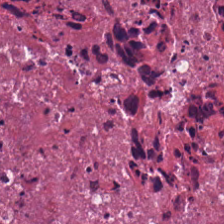H&E · FFPE tissue section · 224×224 pixel tile — Tissue: cellular debris.
